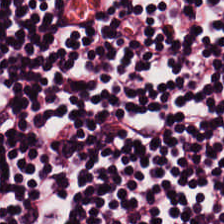0.5 µm per pixel · H&E stain. Predominantly lymphocyte aggregate.
